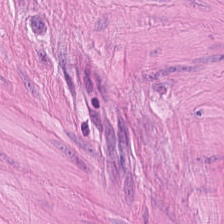224×224 px patch; H&E-stained tissue section — {"tissue_type": "smooth-muscle tissue"}
